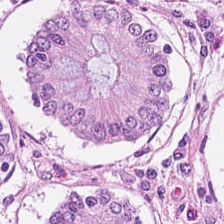H&E stain · formalin-fixed paraffin-embedded section.
The tissue class is normal colonic mucosa.
